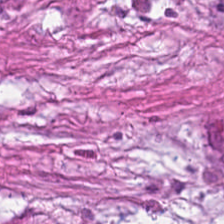Finding — tumor-associated stroma.
